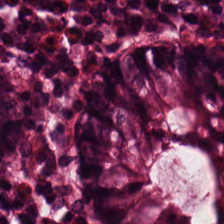Hematoxylin and eosin. Impression → normal colonic mucosa.
